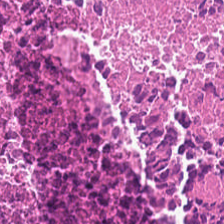Hematoxylin and eosin · FFPE. Classification — debris.
